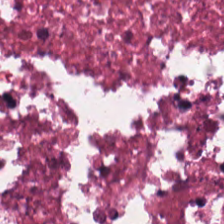Predominant tissue = necrotic debris.
